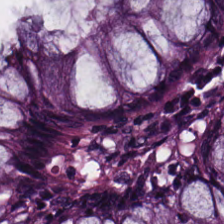H&E-stained tissue section.
{"tissue_type": "normal colon mucosa"}
